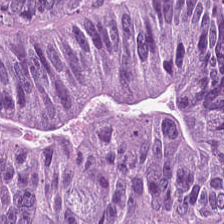Stain: H&E-stained tissue section.
Tissue type: malignant epithelium.
